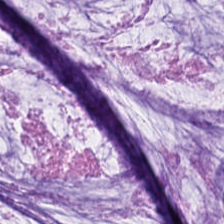Whole-slide-image patch. H&E. Predominantly mucin.
